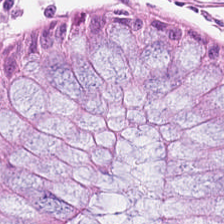H&E-stained tissue section.
Tissue type = normal colonic mucosa.
